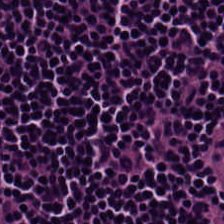0.5 microns per pixel. H&E. Brightfield — Tissue type = lymphocyte aggregate.
